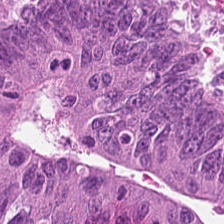H&E-stained tissue section. The tissue here is malignant epithelium.
